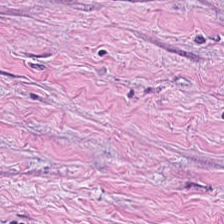Hematoxylin-and-eosin stained section; formalin-fixed paraffin-embedded section.
Q: Classify this patch.
A: The field shows cancer-associated stroma.
